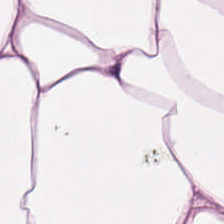Stain: H&E stain.
Resolution: 0.5 µm per pixel.
Classification: adipose tissue.
